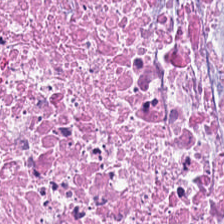WSI patch; H&E — Necrotic debris.
